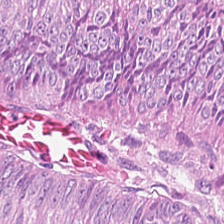Tissue type: colorectal adenocarcinoma.
